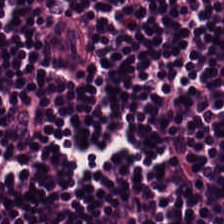Hematoxylin-and-eosin stained section.
The tissue type is lymphoid infiltrate.
